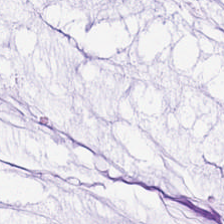Mucus.
